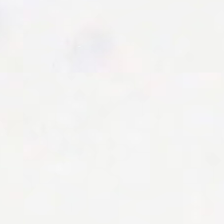224×224 px tile; hematoxylin-and-eosin stained section; whole-slide-image patch — Background.
